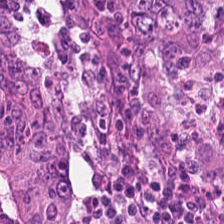Formalin-fixed paraffin-embedded section. 224×224 px patch. H&E-stained tissue section. The tissue here is colorectal adenocarcinoma.
